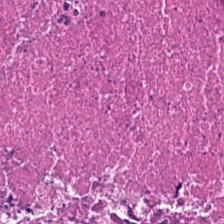Hematoxylin and eosin — Q: What is the predominant tissue type?
A: This is necrotic debris.
